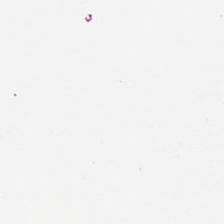Stain: H&E-stained tissue section.
Content: background.
